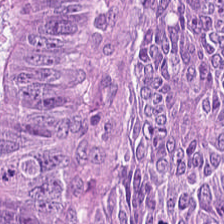Q: Identify the tissue.
A: This is colorectal adenocarcinoma.
